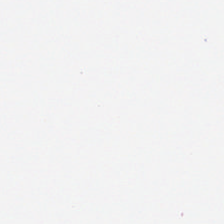Stain: hematoxylin-and-eosin stained section.
Classification: background (no tissue).
